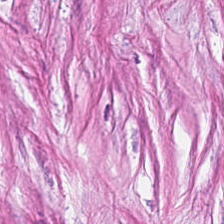H&E-stained tissue section. 0.5 µm/px. This patch shows cancer-associated stroma.
